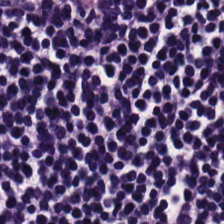Hematoxylin and eosin.
Tissue type: lymphocytic infiltrate.
